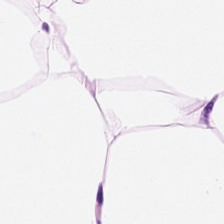H&E — Q: What tissue type is shown here?
A: Adipocytes.
